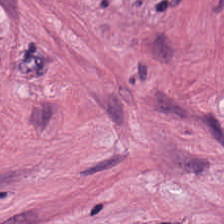This field is cancer-associated stroma.
